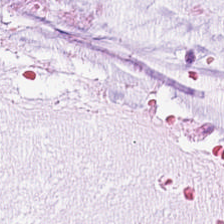Hematoxylin-and-eosin stained section.
The predominant tissue is mucus.
